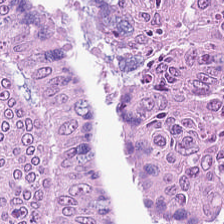Hematoxylin-and-eosin stained section — {"tissue_type": "colorectal adenocarcinoma"}
